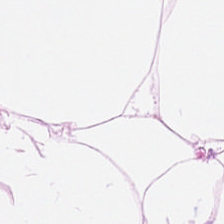H&E.
Tissue type = adipocytes.
